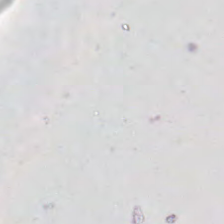H&E. Background — no tissue in this field.
